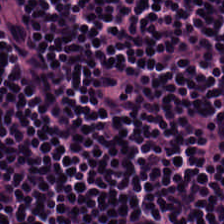Hematoxylin-and-eosin stained section.
Impression — lymphocytes.
